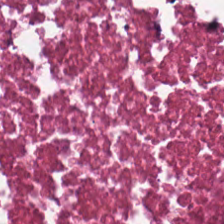H&E.
Q: Classify this patch.
A: It is necrotic debris.
